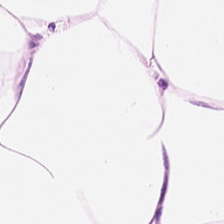224×224 px patch; H&E stain — Fat tissue.
